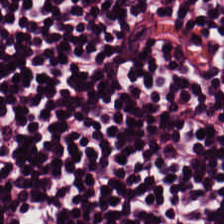H&E.
{"tissue_type": "lymphocyte aggregate"}
